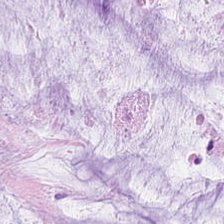Hematoxylin-and-eosin stained section — Showing mucin.
